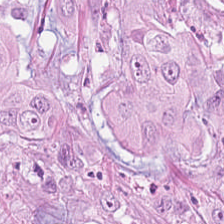H&E-stained section; the field shows colorectal adenocarcinoma.
